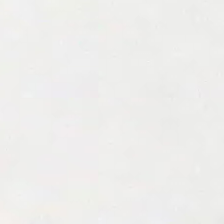H&E stain; whole-slide-image patch; 0.5 µm/px.
The content is no tissue.
